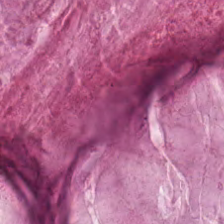WSI patch. H&E — {"tissue_type": "mucus"}
